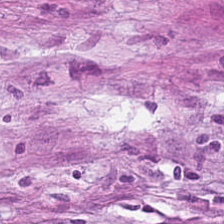Stain: hematoxylin-and-eosin stained section.
Tile size: 224×224 px tile.
Tissue: cancer-associated stroma.
